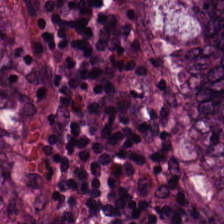Tissue = tumor epithelium.
